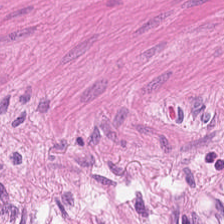H&E-stained tissue section. 20× equivalent magnification. The predominant tissue is smooth muscle.
